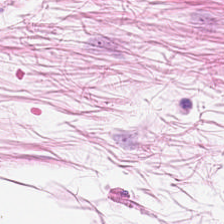Classification — fat tissue.
